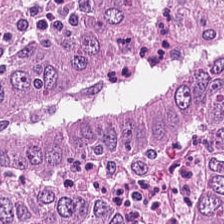Predominantly adenocarcinoma.
